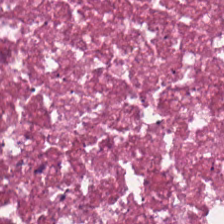The tissue class is necrotic debris.
